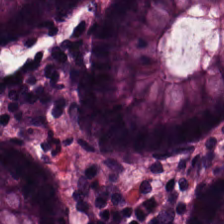Hematoxylin and eosin.
This patch shows normal colon mucosa.
